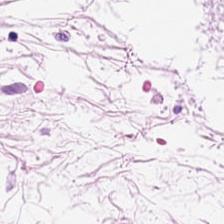{"tissue_type": "adipose tissue"}
